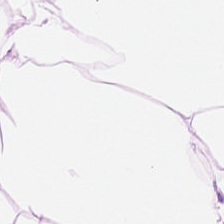Tissue = adipose.
